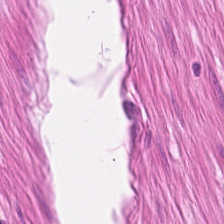224×224 px patch; formalin-fixed paraffin-embedded section; H&E-stained tissue section — This patch shows muscularis.
